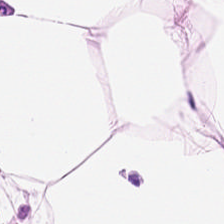Predominant tissue — adipocytes.
